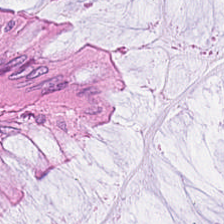H&E-stained tissue section — Classification: benign colonic mucosa.
